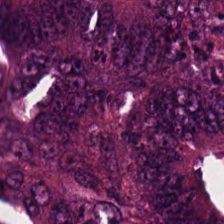Brightfield microscopy. Hematoxylin and eosin.
The tissue here is malignant epithelium.
